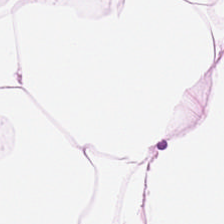Brightfield microscopy; H&E stain — Tissue type = adipocytes.
